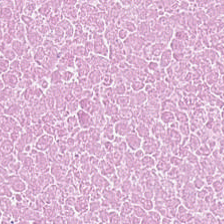H&E — The predominant tissue is cellular debris.
